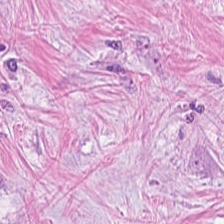Hematoxylin-and-eosin section: cancer-associated stroma.
